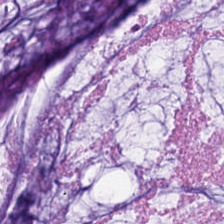20× equivalent magnification. Hematoxylin-and-eosin stained section.
The tissue is mucus.
